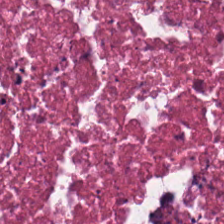Hematoxylin and eosin.
Predominantly debris.
